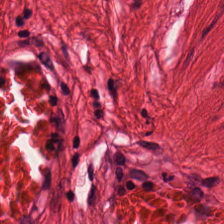Stain: H&E stain.
Tissue: muscularis.
